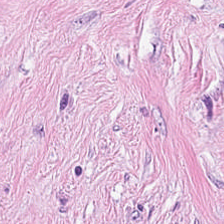0.5 microns per pixel · whole-slide-image patch · H&E — Predominantly tumor-associated stroma.
